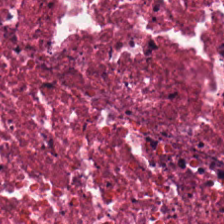Hematoxylin-and-eosin stained section · FFPE. Q: What tissue type is shown here?
A: Debris.
